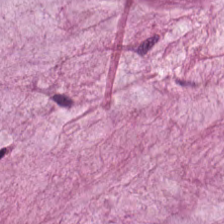Hematoxylin-and-eosin stained section. Whole-slide-image patch — {"tissue_type": "mucus"}
